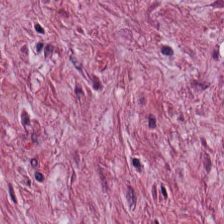Hematoxylin and eosin. Q: Identify the tissue.
A: It is cancer-associated stroma.
